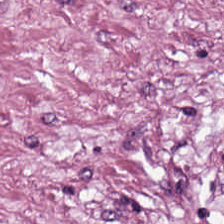H&E stain. Whole-slide-image patch. Formalin-fixed paraffin-embedded section — Q: What is shown here?
A: Cancer-associated stroma.
